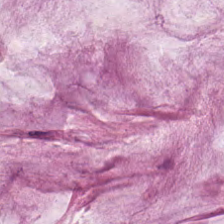Tissue type: mucus.
